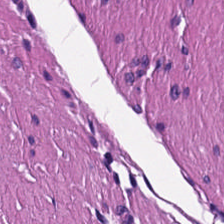H&E-stained tissue section.
This patch shows muscularis.
